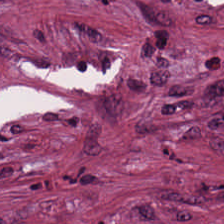H&E · 20× equivalent magnification.
Showing tumor stroma.
